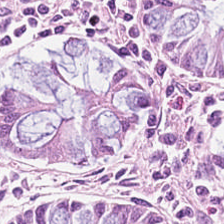FFPE tissue section · H&E-stained tissue section. The tissue is normal colonic mucosa.
